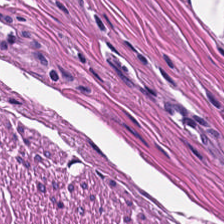H&E-stained tissue section. Showing smooth-muscle tissue.
